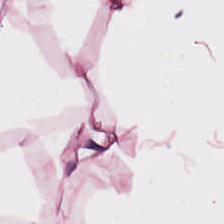H&E — adipose tissue.
